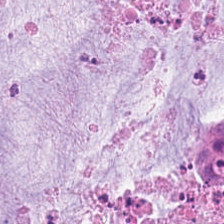Showing extracellular mucin.
